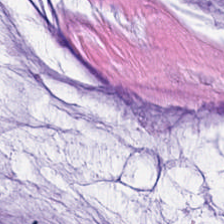{"tissue_type": "mucin"}
